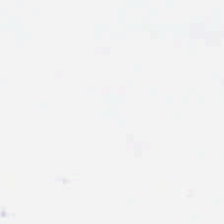H&E-stained tissue section — {"content": "background (no tissue)"}
